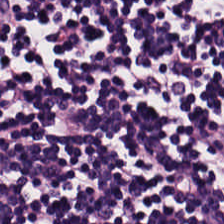This patch shows lymphoid infiltrate.
